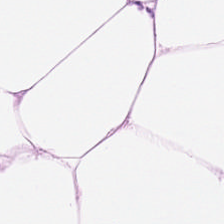H&E-stained tissue section. Q: What type of tissue is this?
A: This is fat tissue.
